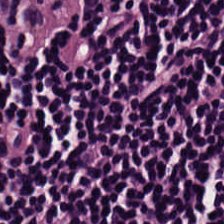224×224 px tile; H&E stain. The tissue type is lymphocytes.
